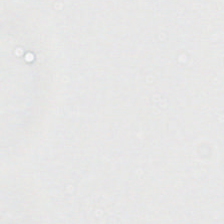Hematoxylin-and-eosin stained section; 224×224 pixel tile — Finding — empty background.
